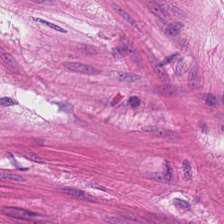WSI patch; hematoxylin and eosin — Muscularis.
